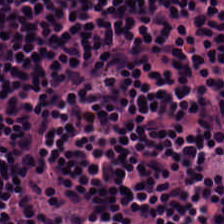Hematoxylin-and-eosin stained section · 0.5 µm per pixel · 224×224 px tile.
The tissue class is lymphocytes.
